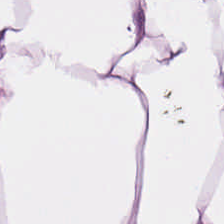Showing adipocytes.
